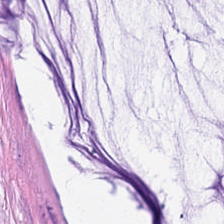H&E. This patch shows mucin.
